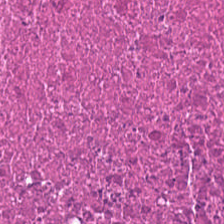H&E. 0.5 microns per pixel. 224×224 pixel tile — Impression — debris.
